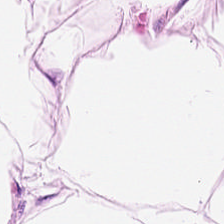Tissue class = fat tissue.
